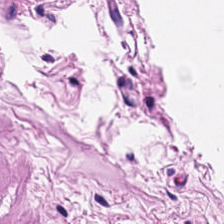FFPE tissue section · hematoxylin and eosin — Histology — smooth muscle.
